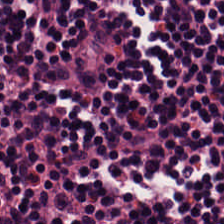H&E stain. Impression — lymphocytes.
